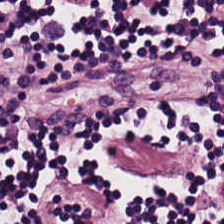The tissue here is lymphoid infiltrate.
